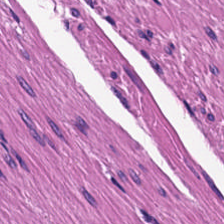224×224 px patch · FFPE · H&E. The tissue class is smooth muscle.
